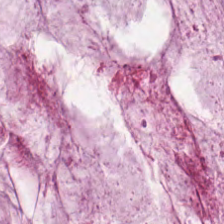H&E stain; FFPE. Tissue type: mucin.
